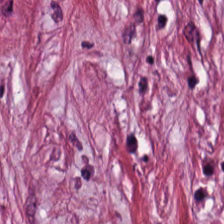H&E — Finding — tumor stroma.
